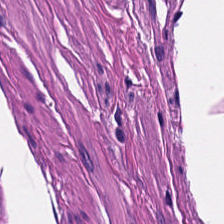H&E stain. Whole-slide-image patch. Q: What tissue type is shown here?
A: It is smooth-muscle tissue.
